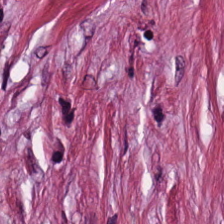H&E stain. 224×224 px tile.
Q: What is shown in this field?
A: It is tumor-associated stroma.
